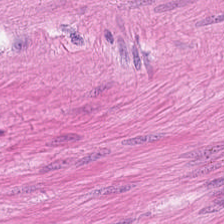Hematoxylin-and-eosin stained section. FFPE tissue section.
Histology → muscularis.
